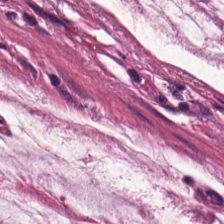20× equivalent magnification; H&E stain.
Showing mucin.
